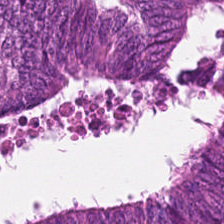224×224 px patch. H&E stain — Q: Identify the tissue.
A: This is adenocarcinoma.
